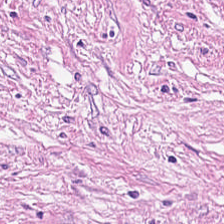H&E stain. 224×224 pixel tile. The tissue type is desmoplastic stroma.
